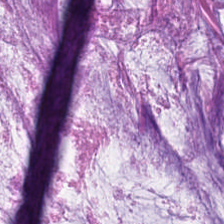{"tissue_type": "mucus"}
